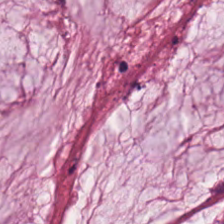H&E · 0.5 µm/px — Q: What is the predominant tissue type?
A: This is mucus.
